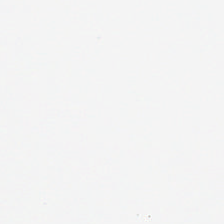H&E stain. 224×224 px patch.
Q: What is shown in this field?
A: Empty background.
